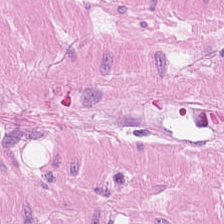H&E stain; FFPE tissue section; brightfield microscopy.
The predominant tissue is smooth muscle.
